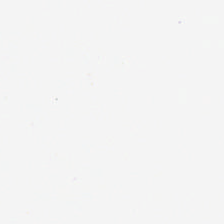Hematoxylin and eosin · formalin-fixed paraffin-embedded section · brightfield.
Q: What is shown in this field?
A: This is background (no tissue).
